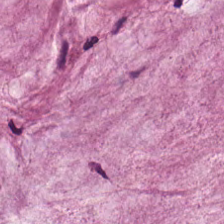FFPE. Hematoxylin and eosin.
Predominant tissue: mucus.
